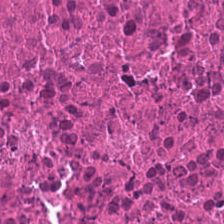H&E · 224×224 px patch · 0.5 µm per pixel — Showing debris.
